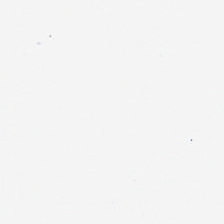Brightfield microscopy · H&E stain. Q: What is shown here?
A: It is background (no tissue).
